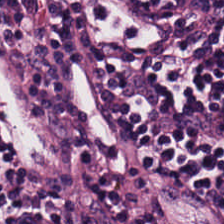Impression — lymphoid infiltrate.
